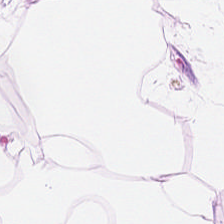Hematoxylin and eosin. FFPE — The predominant tissue is adipocytes.
